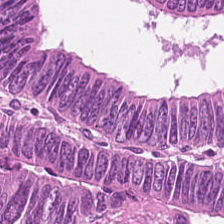0.5 µm/px. H&E-stained tissue section. Formalin-fixed paraffin-embedded section.
Showing colorectal adenocarcinoma epithelium.
